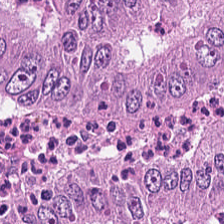H&E-stained tissue section.
Q: What is shown in this field?
A: It is adenocarcinoma.
